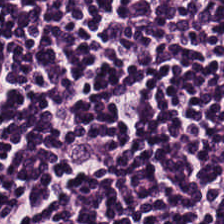H&E stain. FFPE — The classification is lymphoid infiltrate.
